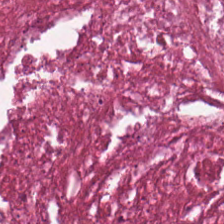Hematoxylin-and-eosin stained section.
Showing cellular debris.
